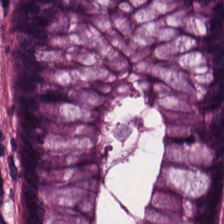Q: What is shown in this field?
A: Non-neoplastic colon mucosa.
